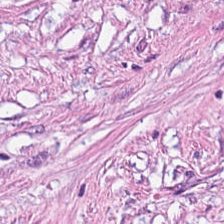Hematoxylin-and-eosin stained section.
Tumor stroma.
